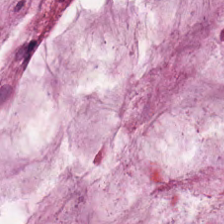Q: What is the predominant tissue type?
A: The field shows mucin.
